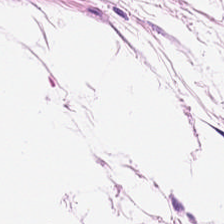Brightfield microscopy; H&E. Adipocytes.
